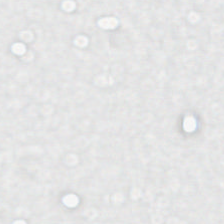Impression → background.
